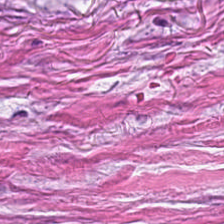H&E stain.
The tissue class is tumor stroma.
